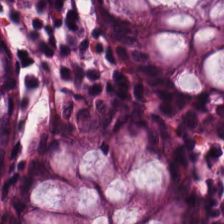Stain: hematoxylin and eosin.
Acquisition: WSI patch.
Classification: normal colonic mucosa.
